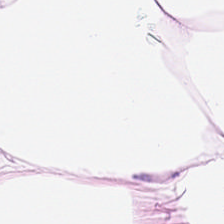H&E stain; 0.5 µm per pixel; FFPE tissue section. Histology → fat tissue.
